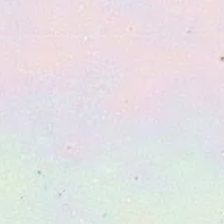This patch shows empty background.
